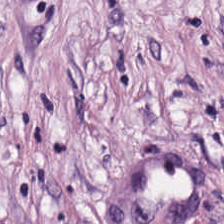H&E-stained tissue section showing desmoplastic stroma.
